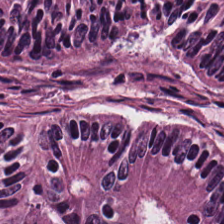Stain: H&E stain.
Predominant tissue: colorectal adenocarcinoma epithelium.
